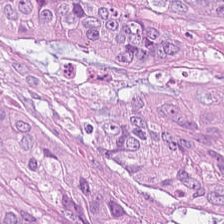H&E stain; formalin-fixed paraffin-embedded section — Colorectal adenocarcinoma.
